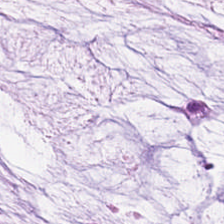The predominant tissue is mucus.
